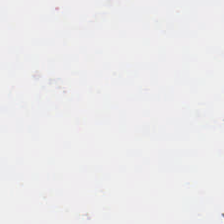Stain: hematoxylin and eosin.
Acquisition: brightfield.
Resolution: 0.5 µm per pixel.
Field content: background (no tissue).
